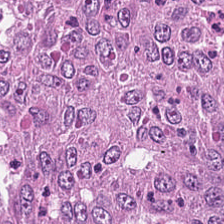Q: What does this patch show?
A: Tumor epithelium.
